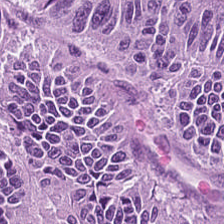0.5 µm/px · FFPE tissue section · H&E. Tissue type = tumor epithelium.
